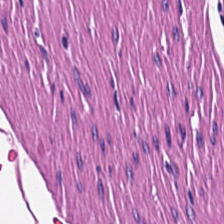Hematoxylin and eosin. 224×224 px patch. Formalin-fixed paraffin-embedded section.
Tissue: smooth-muscle tissue.
